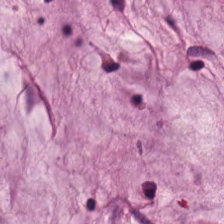H&E-stained tissue section. Q: What tissue type is shown here?
A: It is mucus.
